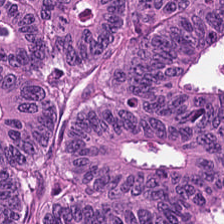H&E stain.
Classification: colorectal adenocarcinoma.
